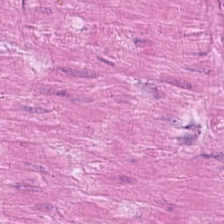H&E — muscularis.
